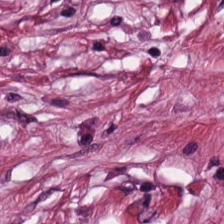Hematoxylin and eosin; brightfield microscopy — Finding — cancer-associated stroma.
